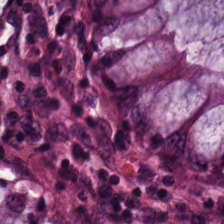Tissue: normal colonic mucosa.
